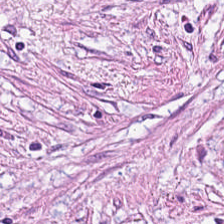Stain: H&E.
Predominant tissue: cancer-associated stroma.
